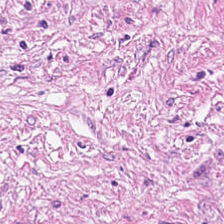H&E-stained tissue section.
Q: What tissue is shown?
A: The field shows desmoplastic stroma.
